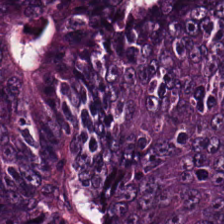Histology → colorectal adenocarcinoma epithelium.
